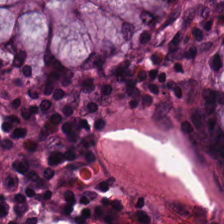Hematoxylin and eosin. Formalin-fixed paraffin-embedded section.
{"tissue_type": "normal colon mucosa"}
